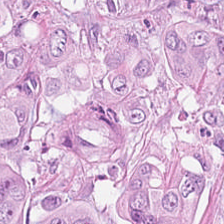{"tissue_type": "malignant epithelium"}
